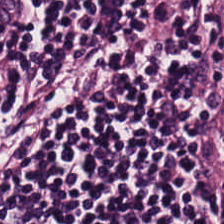Hematoxylin-and-eosin stained section.
Tissue class — lymphocyte aggregate.
